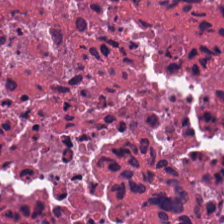Hematoxylin-and-eosin stained section — Q: Classify this patch.
A: Necrotic debris.
